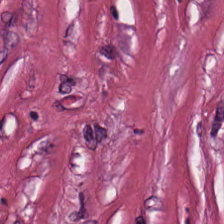H&E stain — Tissue class — tumor-associated stroma.
